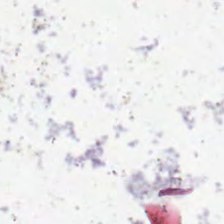Stain: hematoxylin-and-eosin stained section.
Preparation: formalin-fixed paraffin-embedded section.
Field content: background (no tissue).
